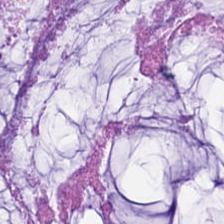20× equivalent magnification; H&E-stained tissue section — This patch shows mucus.
